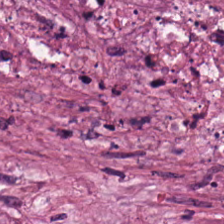224×224 px tile. H&E-stained tissue section. FFPE. {"tissue_type": "cellular debris"}
